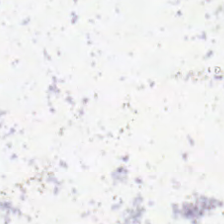224×224 pixel tile. H&E stain.
Q: What does this patch show?
A: Background (no tissue).
